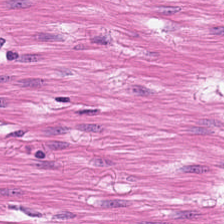224×224 px tile. H&E. FFPE tissue section — Q: Classify this patch.
A: The field shows smooth muscle.
